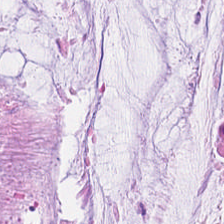FFPE; 0.5 microns per pixel; H&E.
{"tissue_type": "mucin"}
